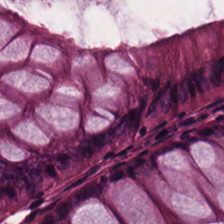H&E-stained tissue section. FFPE tissue section.
Finding → non-neoplastic colon mucosa.
